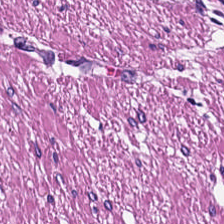Q: Classify this patch.
A: The field shows smooth muscle.
